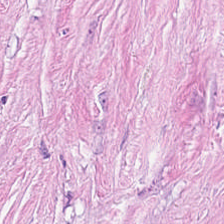H&E. Showing tumor stroma.
